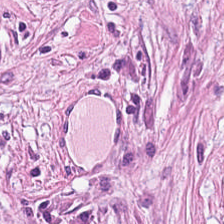224×224 pixel tile. H&E-stained tissue section. Brightfield microscopy.
Q: What tissue is shown?
A: This is cancer-associated stroma.
